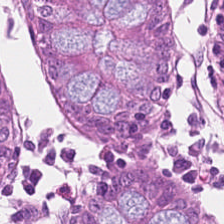Hematoxylin-and-eosin stained section.
Tissue — benign colonic mucosa.
